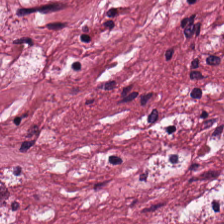H&E. Brightfield.
Q: What tissue is shown?
A: It is cancer-associated stroma.
